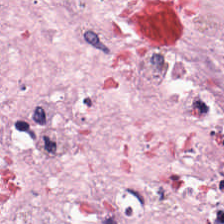H&E. The predominant tissue is desmoplastic stroma.
